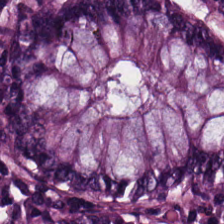H&E-stained tissue section; 0.5 microns per pixel — Classification = normal colonic mucosa.
